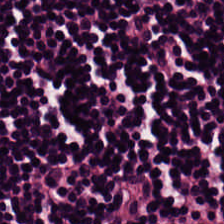H&E stain.
Classification — lymphocyte aggregate.
